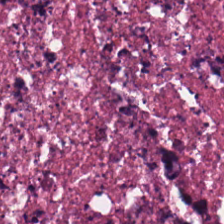H&E — Tissue class: debris.
